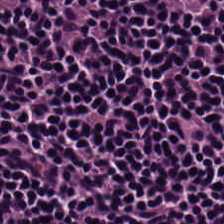Hematoxylin-and-eosin stained section — Lymphocytes.
